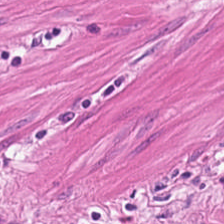Smooth muscle.
